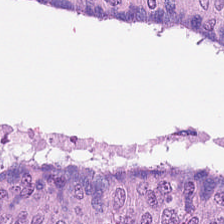The predominant tissue is colorectal adenocarcinoma.
